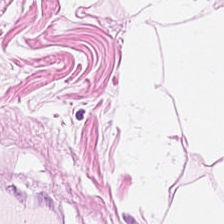Brightfield microscopy. FFPE. H&E. This field is adipocytes.
